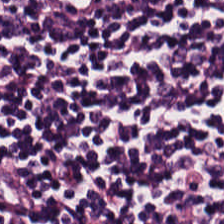H&E. Showing lymphocyte aggregate.
